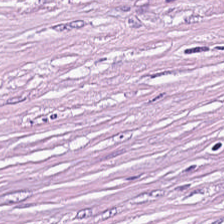This field is tumor-associated stroma.
